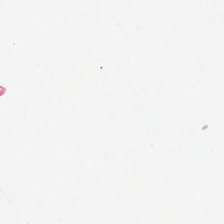H&E stain · FFPE tissue section. Background — no tissue in this field.
